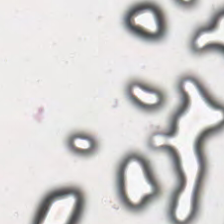Stain: hematoxylin-and-eosin stained section.
Content: no tissue.
